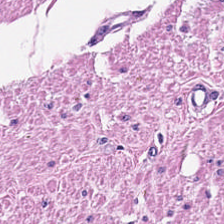H&E-stained tissue section · FFPE.
Q: Identify the tissue.
A: It is smooth-muscle tissue.
